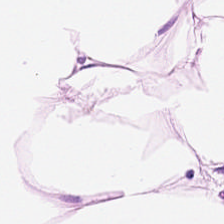H&E-stained tissue section. This field is adipose.
